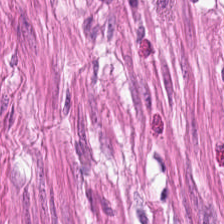Hematoxylin and eosin.
The tissue class is smooth-muscle tissue.
